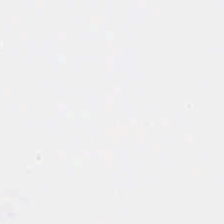The classification is no tissue.
